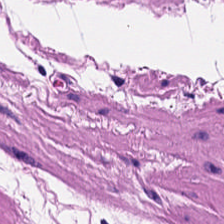0.5 µm/px. H&E stain. Tissue type = smooth muscle.
